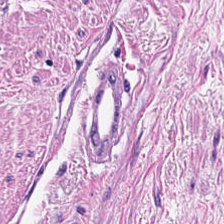224×224 px tile · H&E-stained tissue section. This field is smooth muscle.
